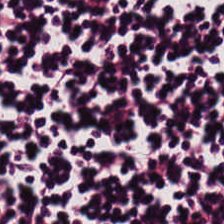The predominant tissue is lymphoid infiltrate.
